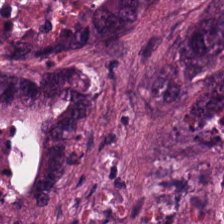Formalin-fixed paraffin-embedded section. 224×224 pixel tile. H&E stain.
{"tissue_type": "colorectal adenocarcinoma epithelium"}
